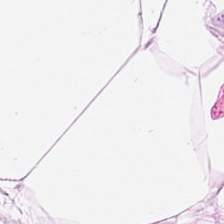0.5 µm/px. Hematoxylin and eosin — Classification = adipose tissue.
